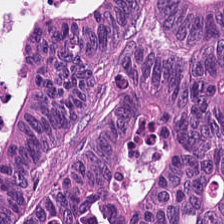0.5 µm/px. 224×224 pixel tile. Hematoxylin-and-eosin stained section. {"tissue_type": "colorectal adenocarcinoma epithelium"}
